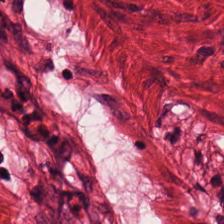Hematoxylin-and-eosin stained section.
This field is smooth-muscle tissue.
